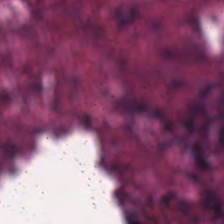Hematoxylin-and-eosin stained section.
Q: What is shown in this field?
A: Debris.
